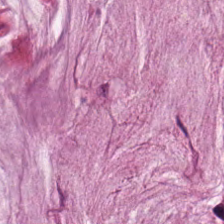H&E patch showing mucus.
